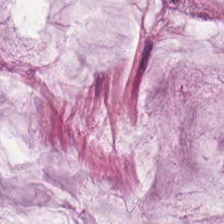0.5 µm/px; 224×224 pixel tile; hematoxylin and eosin — This field is mucus.
